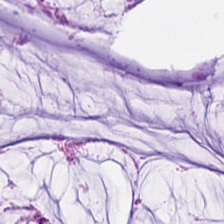H&E stain.
Predominantly extracellular mucin.
